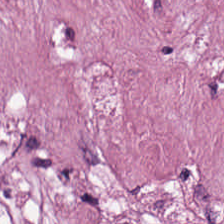H&E-stained tissue section. Predominantly tumor-associated stroma.
